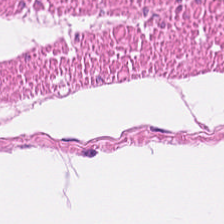H&E. Formalin-fixed paraffin-embedded section. Predominantly muscularis.
